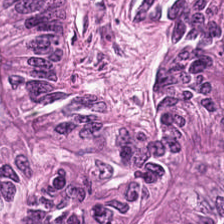H&E patch showing colorectal adenocarcinoma epithelium.
